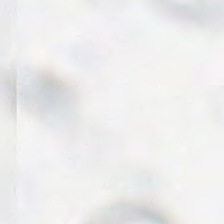H&E — Empty field — empty background.
